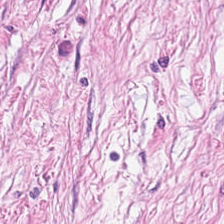H&E. Q: Classify this patch.
A: This is desmoplastic stroma.
